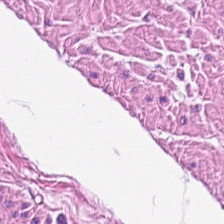Hematoxylin and eosin; brightfield microscopy; 20× equivalent magnification.
Q: What is the predominant tissue type?
A: This is muscularis.
